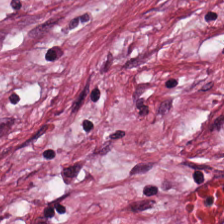{"tissue_type": "desmoplastic stroma"}
